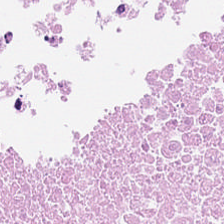H&E. The predominant tissue is cellular debris.
